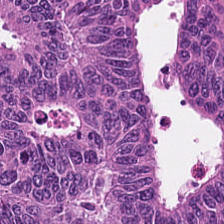224×224 px patch; hematoxylin-and-eosin stained section. Predominantly colorectal adenocarcinoma epithelium.
